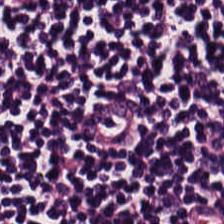224×224 pixel tile · hematoxylin-and-eosin stained section — Q: What type of tissue is this?
A: This is lymphocyte aggregate.
